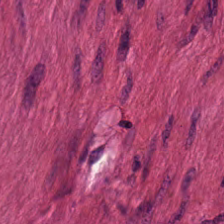H&E stain. 224×224 px patch. The tissue here is smooth muscle.
